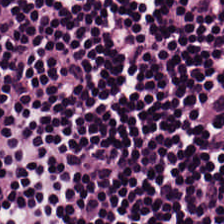0.5 microns per pixel; FFPE tissue section; H&E — Q: What does this patch show?
A: Lymphocytes.
